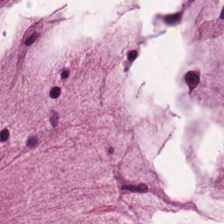H&E stain. Impression → mucus.
